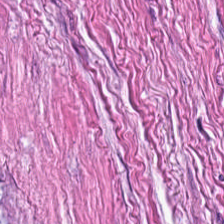H&E-stained tissue section; 224×224 px patch.
Finding — smooth-muscle tissue.
